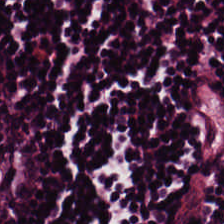{"tissue_type": "lymphocytes"}
